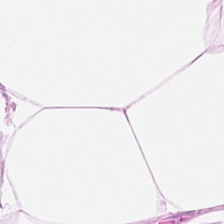Hematoxylin and eosin · 224×224 px tile.
Q: Identify the tissue.
A: It is adipose.
